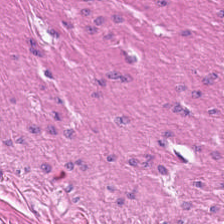H&E — Predominant tissue — muscularis.
